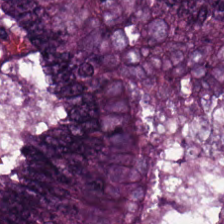Brightfield. Hematoxylin and eosin. Q: Classify this patch.
A: Malignant epithelium.
